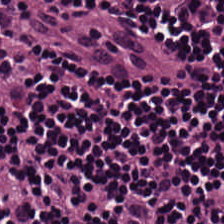Stain: hematoxylin-and-eosin stained section.
Preparation: FFPE.
Classification: lymphocytes.
